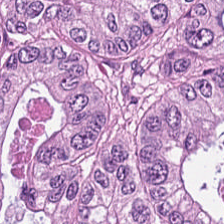This field is adenocarcinoma.
